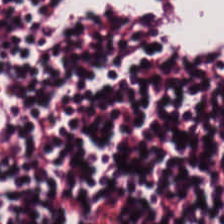Hematoxylin and eosin. 224×224 pixel tile. Q: What is shown in this field?
A: It is lymphocytic infiltrate.
